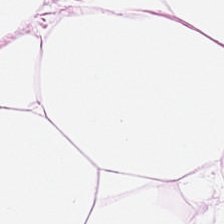Q: What tissue type is shown here?
A: It is adipocytes.
